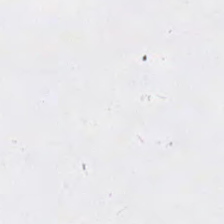224×224 pixel tile; hematoxylin-and-eosin stained section; whole-slide-image patch — The content is background (no tissue).
